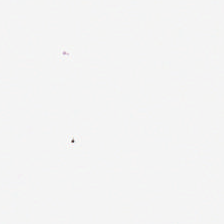No tissue present; background only.
